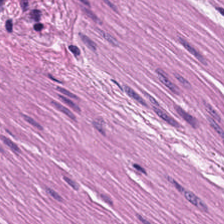WSI patch · H&E — The tissue is smooth muscle.
